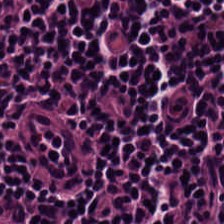H&E stain. This field is lymphocytes.
